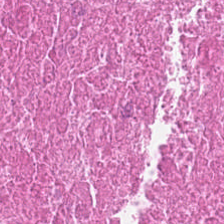20× equivalent magnification · 224×224 px tile · H&E stain — Histology — cellular debris.
